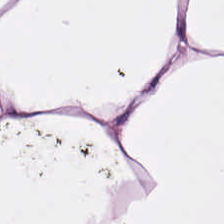Hematoxylin-and-eosin stained section.
Tissue type: adipose.
